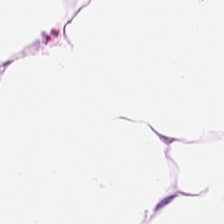The tissue type is adipose tissue.
